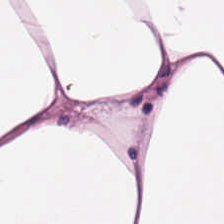{"tissue_type": "adipose"}
